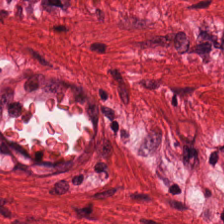H&E stain — Predominantly smooth-muscle tissue.
